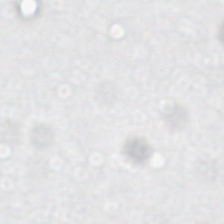H&E stain. Field content = empty background.
